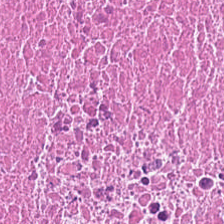224×224 pixel tile; hematoxylin-and-eosin stained section; brightfield microscopy. The tissue here is debris.
